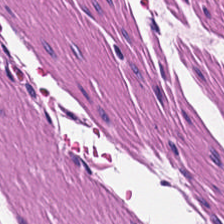H&E stain. Histology → muscularis.
